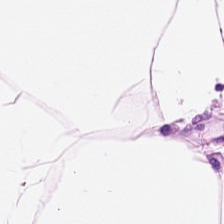Stain: hematoxylin and eosin.
Resolution: 0.5 µm/px.
Tissue class: adipose tissue.
